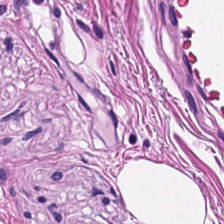Finding → smooth muscle.
